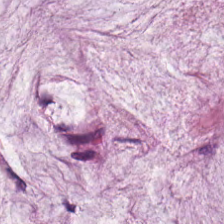H&E. The predominant tissue is extracellular mucin.
